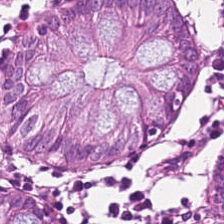Brightfield microscopy; H&E-stained tissue section; formalin-fixed paraffin-embedded section — The tissue here is non-neoplastic colon mucosa.
